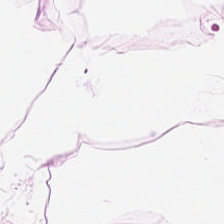H&E-stained tissue section — Predominant tissue — adipose tissue.
